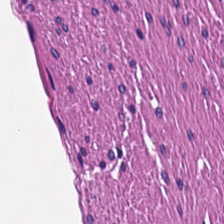0.5 µm/px · brightfield · H&E-stained tissue section.
Q: Identify the tissue.
A: The field shows smooth-muscle tissue.
